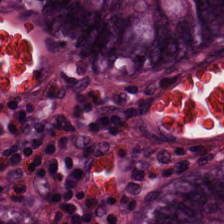H&E stain · 224×224 pixel tile — {"tissue_type": "normal colonic mucosa"}
